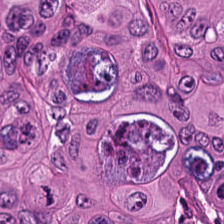Classification — adenocarcinoma.
